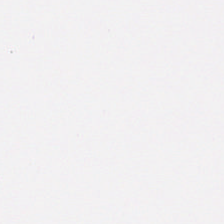H&E-stained tissue section.
Q: What tissue type is shown here?
A: Muscularis.
